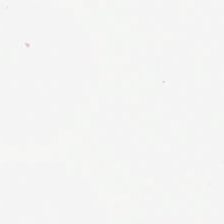H&E. FFPE. Field content — background.
